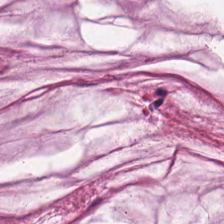H&E stain. The tissue here is mucus.
